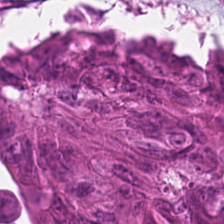H&E-stained tissue section · 224×224 pixel tile · FFPE tissue section. Tissue: colorectal adenocarcinoma epithelium.
